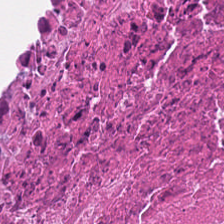Q: What does this patch show?
A: Cellular debris.
